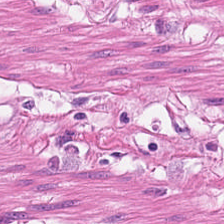Hematoxylin and eosin; FFPE; brightfield microscopy — This patch shows muscularis.
